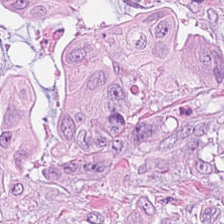H&E-stained tissue section — Histology → tumor epithelium.
